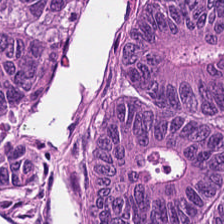224×224 px tile. H&E stain.
Predominant tissue — colorectal adenocarcinoma epithelium.
